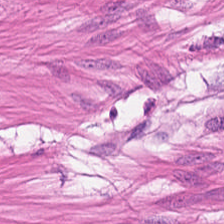H&E-stained tissue section.
Histology — smooth-muscle tissue.
